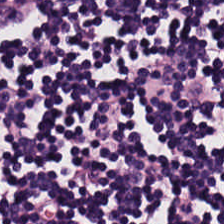0.5 µm per pixel; H&E stain.
Impression → lymphocytic infiltrate.
